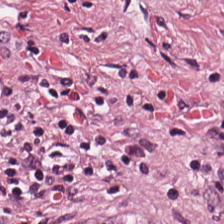H&E-stained section; the field shows cancer-associated stroma.
